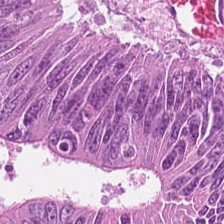Stain: hematoxylin and eosin.
Tissue type: malignant epithelium.
